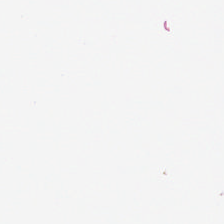H&E · formalin-fixed paraffin-embedded section. Q: What is shown here?
A: The field shows no tissue.
